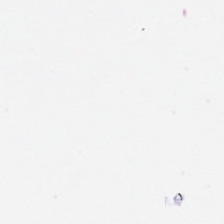H&E stain. Histology → no tissue.
